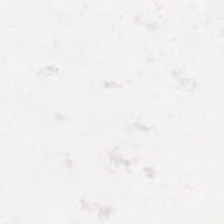FFPE tissue section. Hematoxylin and eosin — Q: What does this patch show?
A: The field shows empty background.
